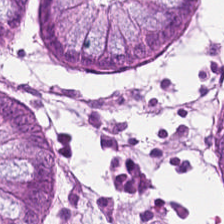H&E-stained tissue section — Predominant tissue = normal colon mucosa.
